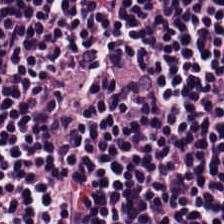H&E stain. Tissue = lymphoid infiltrate.
